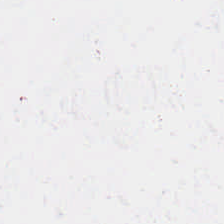H&E. This patch shows background.
